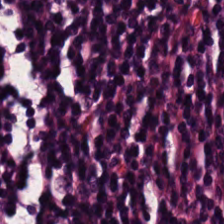H&E stain. The predominant tissue is lymphocyte aggregate.
